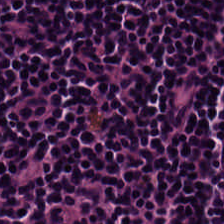Hematoxylin and eosin. The tissue here is lymphoid infiltrate.
